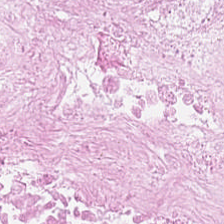Stain: H&E stain.
Resolution: 0.5 microns per pixel.
Tissue: necrotic debris.
